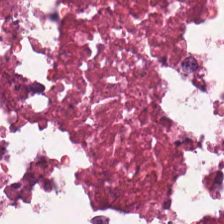Q: What type of tissue is this?
A: Cellular debris.
